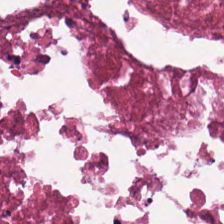224×224 px patch · hematoxylin-and-eosin stained section · FFPE tissue section. {"tissue_type": "necrotic debris"}
